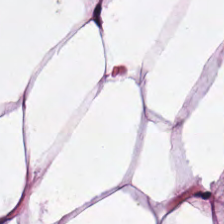Stain: H&E.
Predominant tissue: adipose.
